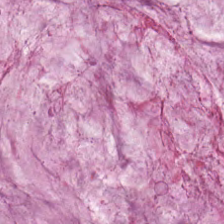H&E patch showing extracellular mucin.
